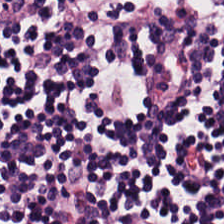H&E-stained tissue section — Predominantly lymphocyte aggregate.
